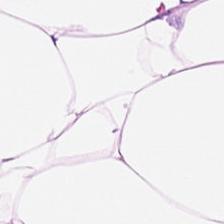Stain: hematoxylin and eosin.
Predominant tissue: adipose tissue.
